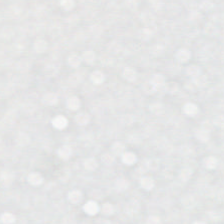{"content": "background"}
